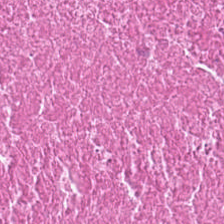H&E-stained tissue section. Brightfield. Q: What does this patch show?
A: It is cellular debris.
